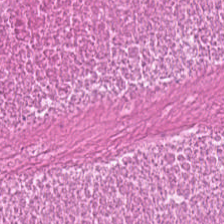224×224 px tile; H&E-stained tissue section.
This field is debris.
